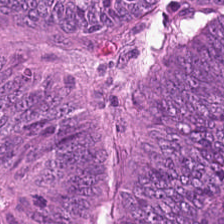Showing colorectal adenocarcinoma.
